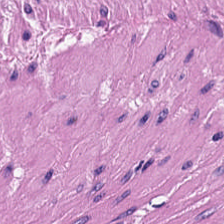Stain: hematoxylin-and-eosin stained section.
Preparation: formalin-fixed paraffin-embedded section.
Tissue type: muscularis.
